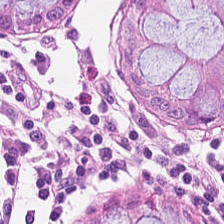This field is normal colonic mucosa.
